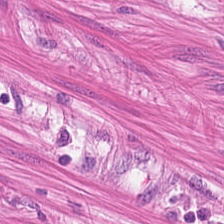H&E stain — Tissue = smooth-muscle tissue.
